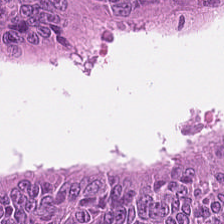0.5 µm/px · 224×224 px patch · H&E-stained tissue section.
Predominant tissue — tumor epithelium.
